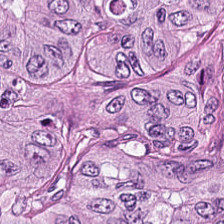H&E-stained tissue section · FFPE. The tissue here is colorectal adenocarcinoma epithelium.
